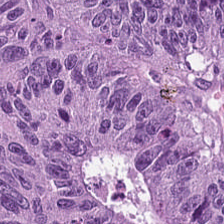224×224 px tile; hematoxylin and eosin; whole-slide-image patch. Predominant tissue: malignant epithelium.
